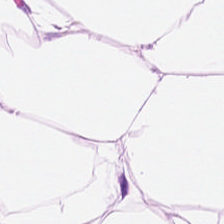Tissue class — fat tissue.
